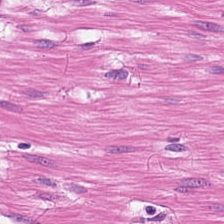Q: What is the predominant tissue type?
A: The field shows smooth muscle.
